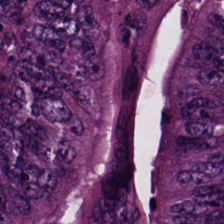H&E-stained section; the field shows adenocarcinoma.
